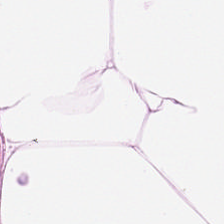Q: What is shown here?
A: It is adipose.
